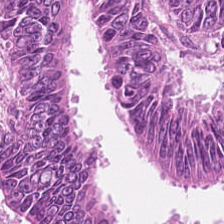Hematoxylin and eosin. Q: What tissue type is shown here?
A: Tumor epithelium.
